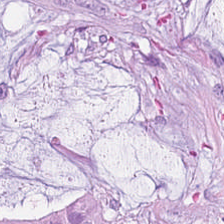Whole-slide-image patch. H&E stain. 224×224 px patch — Extracellular mucin.
